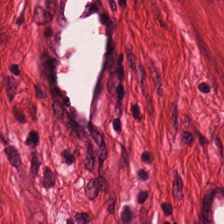H&E.
This field is muscularis.
